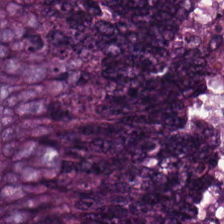Hematoxylin-and-eosin stained section · brightfield. Adenocarcinoma.
